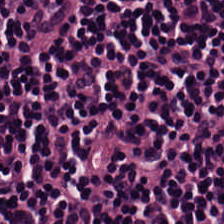Formalin-fixed paraffin-embedded section; brightfield; H&E.
Showing lymphocytes.
